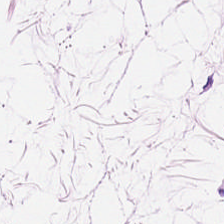Formalin-fixed paraffin-embedded section · hematoxylin-and-eosin stained section.
Q: What tissue is shown?
A: The field shows adipose tissue.
